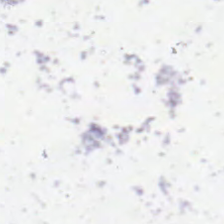H&E stain — This field is background (no tissue).
